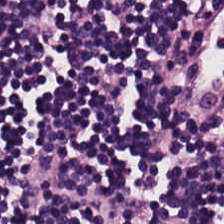Hematoxylin and eosin; 0.5 µm/px.
The predominant tissue is lymphocytes.
